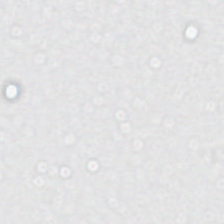H&E.
{"content": "empty background"}
